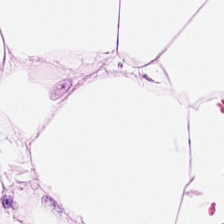Adipose.
